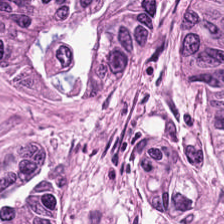Hematoxylin-and-eosin section: tumor epithelium.
